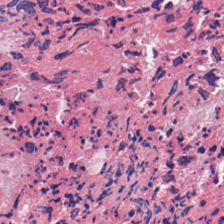H&E stain · formalin-fixed paraffin-embedded section · 224×224 pixel tile. Histology → cellular debris.
